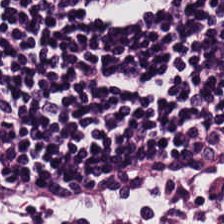H&E — lymphocyte aggregate.
